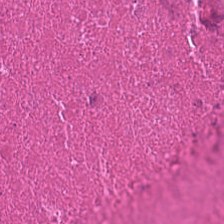Tissue class: debris.
